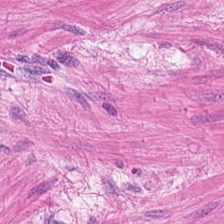Hematoxylin-and-eosin stained section.
The predominant tissue is muscularis.
